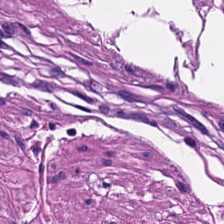Hematoxylin-and-eosin section: smooth muscle.
